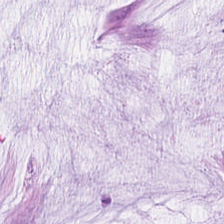H&E stain · 224×224 px patch · 0.5 µm per pixel. The tissue is mucin.
